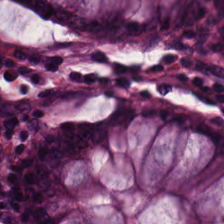Hematoxylin-and-eosin stained section.
Normal colonic mucosa.
